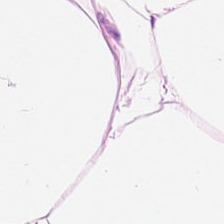Formalin-fixed paraffin-embedded section · H&E-stained tissue section · 224×224 px tile. Classification: adipocytes.
